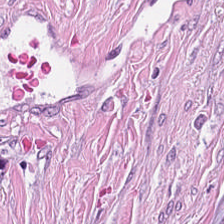Hematoxylin-and-eosin stained section. This patch shows cancer-associated stroma.
